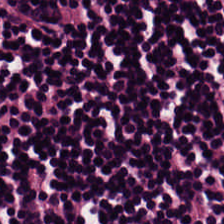H&E stain.
Predominantly lymphocytes.
